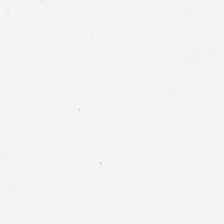224×224 pixel tile; hematoxylin-and-eosin stained section; FFPE tissue section — Q: Classify this patch.
A: Empty background.
